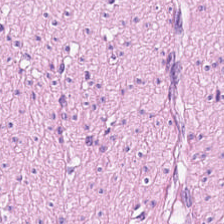Q: What is shown in this field?
A: The field shows smooth-muscle tissue.
